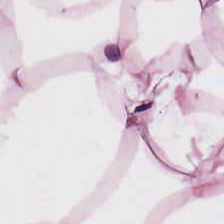Stain: H&E.
Tissue type: fat tissue.
